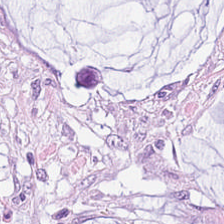H&E-stained tissue section. Predominantly mucin.
